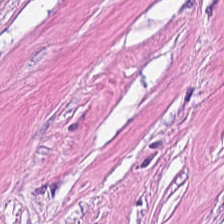Hematoxylin and eosin — The tissue class is tumor-associated stroma.
